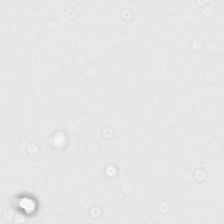H&E — Q: Classify this patch.
A: This is no tissue.
